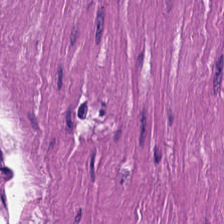Classification = smooth muscle.
